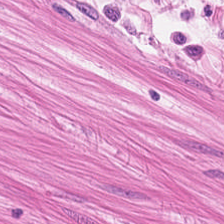Q: What is shown in this field?
A: This is smooth-muscle tissue.
